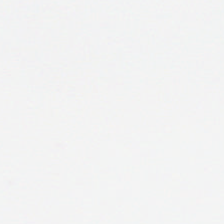Formalin-fixed paraffin-embedded section. Hematoxylin-and-eosin stained section.
Classification — empty background.
